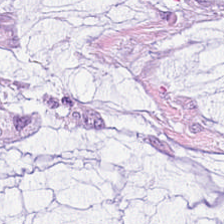WSI patch. FFPE. Hematoxylin and eosin. Q: What tissue type is shown here?
A: It is mucin.
